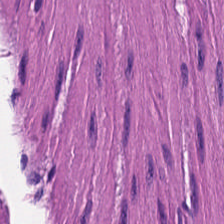Hematoxylin and eosin · 0.5 µm per pixel.
Predominantly smooth muscle.
